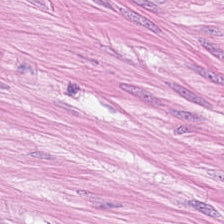Hematoxylin and eosin. Showing smooth-muscle tissue.
